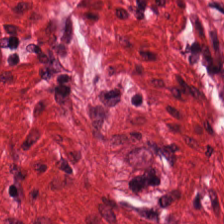Brightfield. FFPE. H&E — Histology — muscularis.
